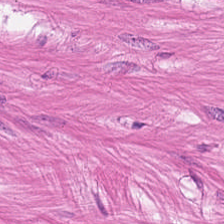Formalin-fixed paraffin-embedded section · H&E-stained tissue section · WSI patch. This field is muscularis.
